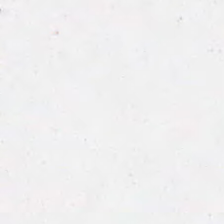H&E-stained tissue section — Field content: no tissue.
